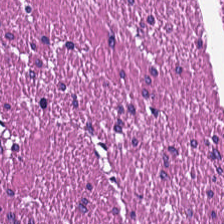The predominant tissue is smooth muscle.
